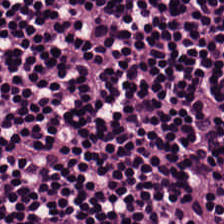Hematoxylin and eosin. Showing lymphocytes.
